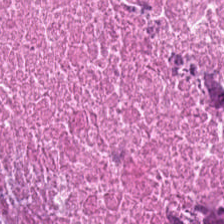Stain: hematoxylin-and-eosin stained section.
Tissue class: cellular debris.
